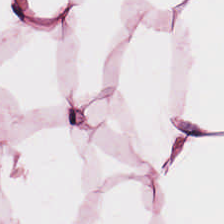H&E stain — This field is adipose tissue.
